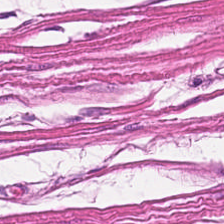H&E-stained tissue section. FFPE tissue section. 224×224 px tile. Histology → smooth-muscle tissue.
